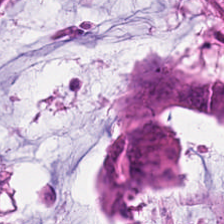This field is tumor epithelium.
